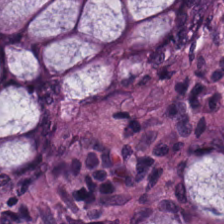H&E.
Normal colon mucosa.
